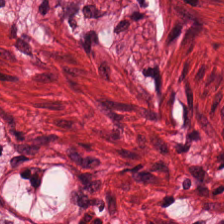Stain: hematoxylin-and-eosin stained section.
Preparation: FFPE tissue section.
Classification: smooth muscle.
